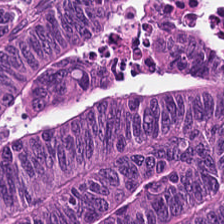H&E-stained tissue section.
The classification is adenocarcinoma.
